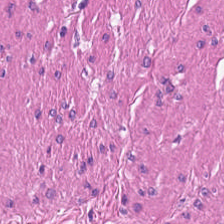Finding → smooth muscle.
